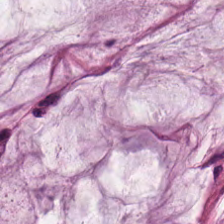FFPE. 224×224 pixel tile. H&E.
Histology — mucin.
